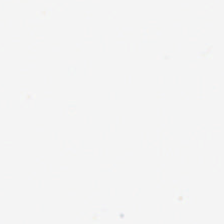H&E-stained tissue section — Empty field — background.
